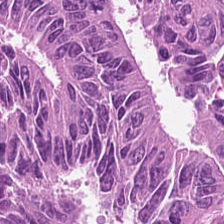H&E — Q: What tissue type is shown here?
A: It is colorectal adenocarcinoma epithelium.
